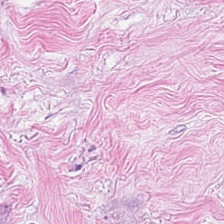FFPE tissue section; hematoxylin-and-eosin stained section. Cancer-associated stroma.
